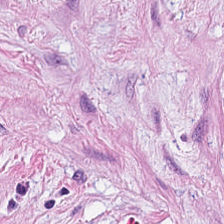The predominant tissue is tumor-associated stroma.
